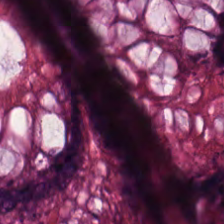H&E stain. Q: Classify this patch.
A: The field shows normal colonic mucosa.
